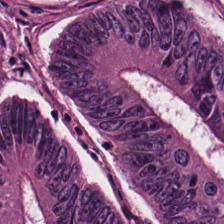{"tissue_type": "malignant epithelium"}
